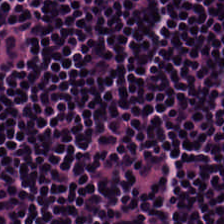H&E stain. Showing lymphocytic infiltrate.
